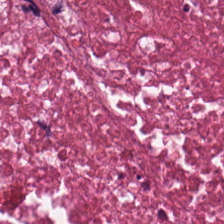H&E stain.
Histology → debris.
